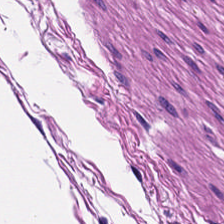224×224 px patch; hematoxylin and eosin.
Classification: smooth muscle.
